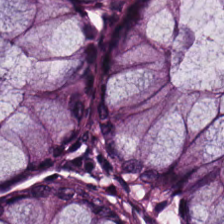224×224 px tile · H&E stain — Classification = normal colon mucosa.
